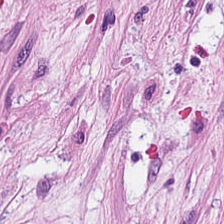H&E-stained tissue section — Q: What is shown in this field?
A: The field shows desmoplastic stroma.
